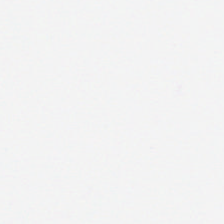224×224 px patch · H&E-stained tissue section. Empty field — empty background.
